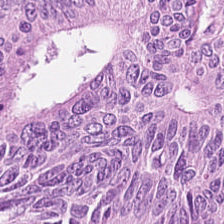224×224 px tile; H&E stain. Q: What tissue type is shown here?
A: The field shows malignant epithelium.
